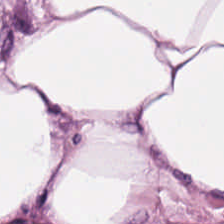Stain: hematoxylin and eosin.
Resolution: 0.5 microns per pixel.
Tissue class: adipocytes.
